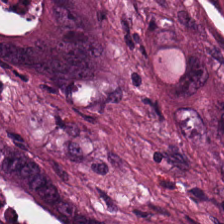FFPE tissue section; hematoxylin-and-eosin stained section.
The tissue type is colorectal adenocarcinoma epithelium.
